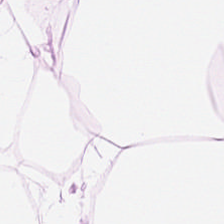FFPE; 224×224 px patch; H&E-stained tissue section. Tissue class = adipose tissue.
